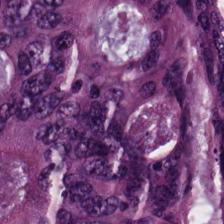224×224 px patch · H&E.
The tissue here is tumor epithelium.
